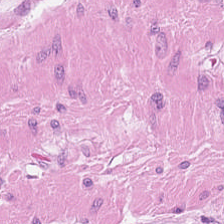H&E-stained tissue section. The predominant tissue is muscularis.
